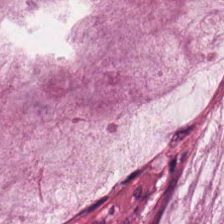Tissue type = extracellular mucin.
